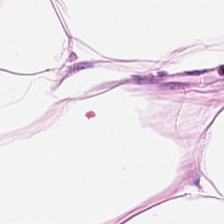Whole-slide-image patch; 0.5 µm/px; H&E-stained tissue section. Classification — adipose tissue.
